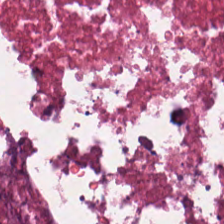Hematoxylin-and-eosin stained section. Tissue type = cellular debris.
